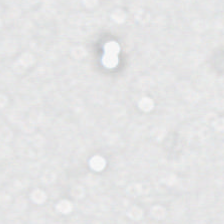Stain: hematoxylin and eosin.
Field content: no tissue.
